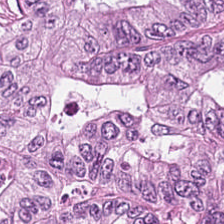Hematoxylin and eosin.
Colorectal adenocarcinoma epithelium.
